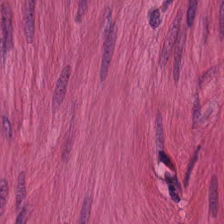Hematoxylin-and-eosin stained section. 224×224 pixel tile. This patch shows smooth muscle.
